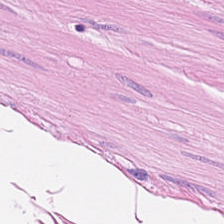H&E-stained tissue section — Tissue class = smooth-muscle tissue.
